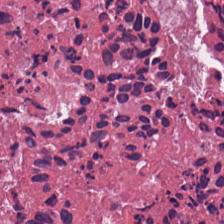224×224 px tile; hematoxylin and eosin.
Showing cellular debris.
